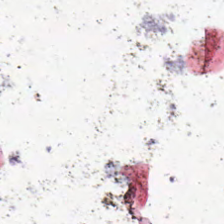20× equivalent magnification · H&E stain — Classification: no tissue.
